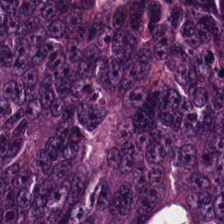Showing tumor epithelium.
